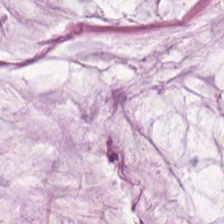H&E — This patch shows extracellular mucin.
